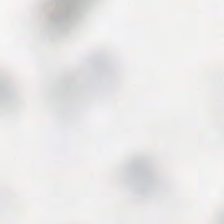Hematoxylin and eosin.
{"content": "background"}
